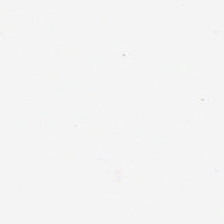Classification — no tissue.
